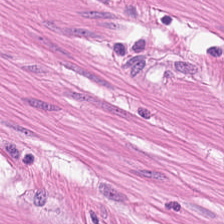Stain: hematoxylin-and-eosin stained section.
Tissue type: muscularis.
